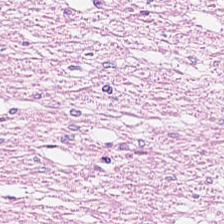Brightfield. H&E-stained tissue section. Finding → smooth muscle.
